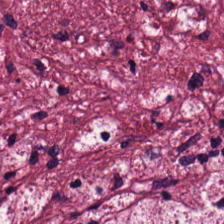Hematoxylin-and-eosin stained section · 0.5 µm/px · FFPE tissue section. The classification is desmoplastic stroma.
